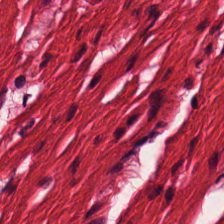H&E-stained tissue section.
Q: What tissue type is shown here?
A: Muscularis.
